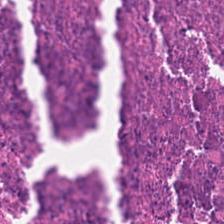Stain: H&E stain.
Tissue class: debris.
